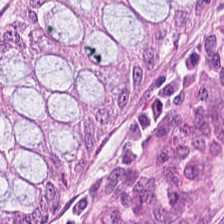Predominantly non-neoplastic colon mucosa.
